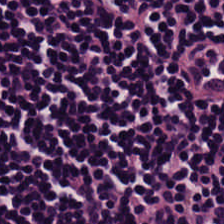Tissue: lymphocyte aggregate.
